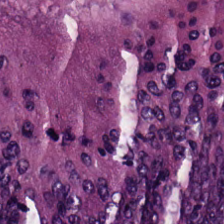Classification = colorectal adenocarcinoma.
